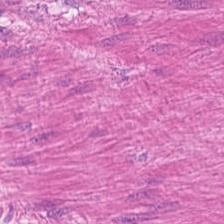H&E-stained tissue section — This field is muscularis.
